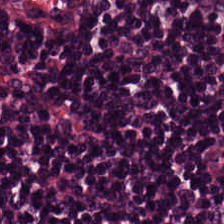H&E stain — Tissue class = lymphocytes.
